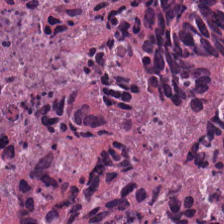Hematoxylin and eosin. 224×224 px patch. Whole-slide-image patch. Q: What tissue type is shown here?
A: Necrotic debris.
